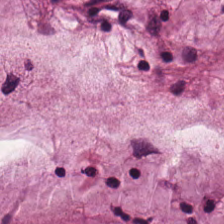Stain: hematoxylin-and-eosin stained section.
Tissue type: mucin.
